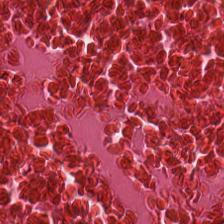H&E-stained tissue section showing debris.
